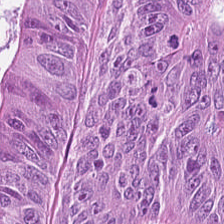H&E-stained tissue section. Brightfield microscopy. 0.5 µm per pixel.
This field is malignant epithelium.
